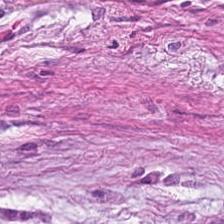224×224 pixel tile. Hematoxylin and eosin. The tissue type is tumor stroma.
